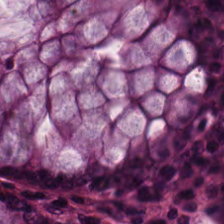Stain: hematoxylin and eosin.
Tissue: normal colon mucosa.
